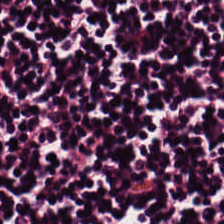Hematoxylin and eosin — Classification = lymphocytes.
